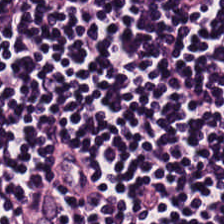224×224 px tile; H&E-stained tissue section.
Predominantly lymphocytic infiltrate.
